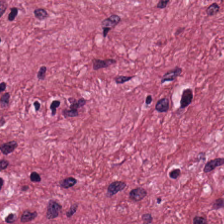H&E · 224×224 px tile — This field is cancer-associated stroma.
